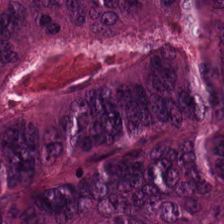Hematoxylin-and-eosin stained section; 224×224 px tile; FFPE. {"tissue_type": "tumor epithelium"}
